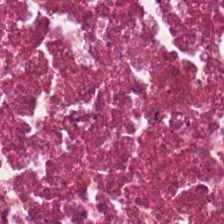Stain: H&E stain.
Preparation: FFPE.
Tile size: 224×224 pixel tile.
Tissue type: debris.
